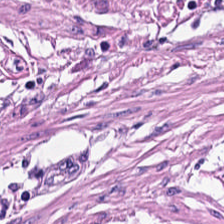H&E stain. Tissue: smooth muscle.
